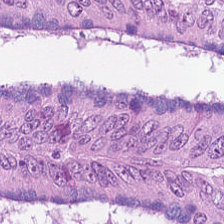H&E-stained tissue section. 224×224 px tile. 0.5 µm per pixel. Q: What is the predominant tissue type?
A: The field shows adenocarcinoma.
